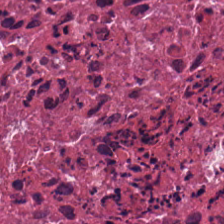Q: What is shown in this field?
A: Debris.
